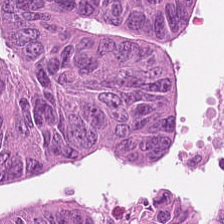FFPE · H&E-stained tissue section — Q: What type of tissue is this?
A: Tumor epithelium.
